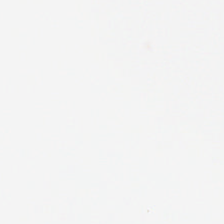Q: What does this patch show?
A: This is background (no tissue).
